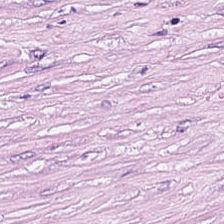Hematoxylin-and-eosin stained section · 224×224 px patch · brightfield — The tissue here is tumor stroma.
